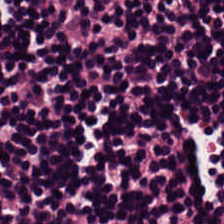Hematoxylin-and-eosin stained section — {"tissue_type": "lymphocyte aggregate"}
